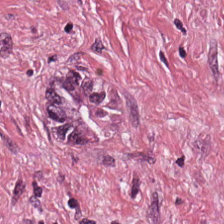Hematoxylin and eosin; 224×224 px patch — The predominant tissue is cancer-associated stroma.
